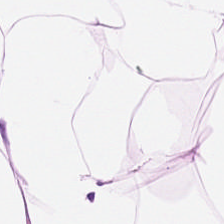Stain: H&E stain.
Tissue: adipocytes.
